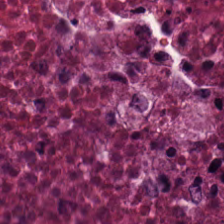H&E stain — The predominant tissue is debris.
